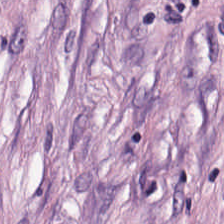Hematoxylin-and-eosin stained section. WSI patch.
Tissue type — cancer-associated stroma.
